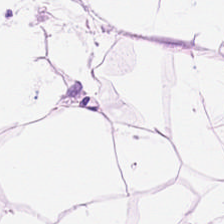Predominant tissue = adipocytes.
